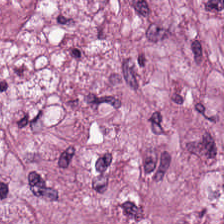Q: What is shown here?
A: It is tumor stroma.
